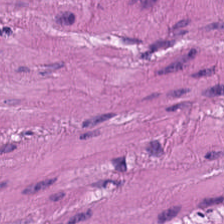Stain: hematoxylin and eosin.
Acquisition: whole-slide-image patch.
Resolution: 0.5 microns per pixel.
Tissue class: muscularis.
